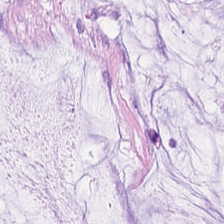This patch shows extracellular mucin.
